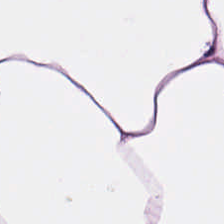Hematoxylin and eosin. Tissue = adipose tissue.
